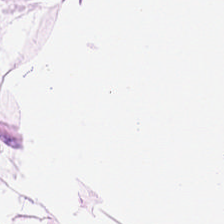The tissue type is adipocytes.
